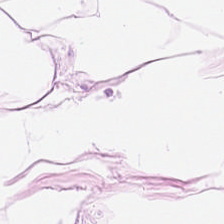0.5 µm/px · H&E-stained tissue section.
The tissue here is adipose.
